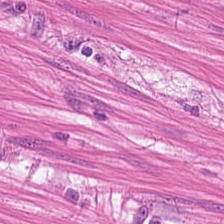H&E patch showing smooth muscle.
